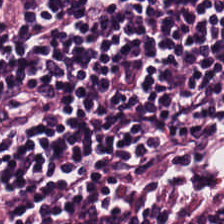H&E-stained tissue section.
Impression → lymphoid infiltrate.
